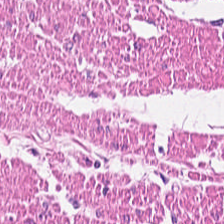Hematoxylin-and-eosin section: smooth muscle.
